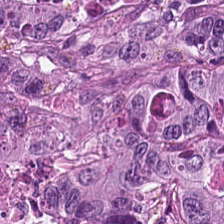The predominant tissue is malignant epithelium.
